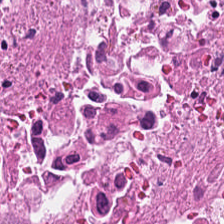WSI patch. H&E-stained tissue section — This patch shows necrotic debris.
